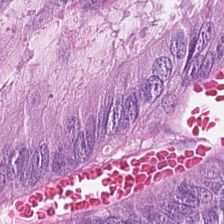Hematoxylin and eosin. Showing colorectal adenocarcinoma.
